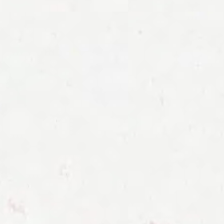H&E.
Field content — empty background.
